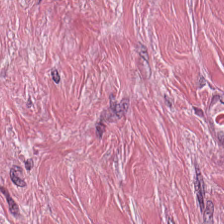H&E stain.
The predominant tissue is tumor stroma.
